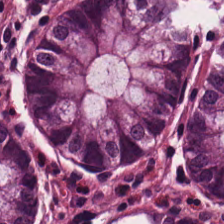H&E-stained tissue section. Classification = normal colon mucosa.
